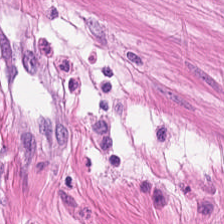WSI patch. H&E stain. Showing smooth-muscle tissue.
